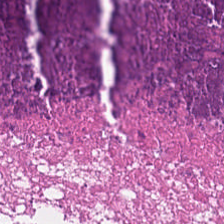H&E-stained tissue section — This patch shows debris.
